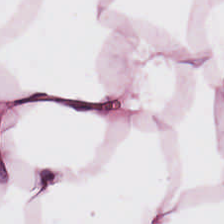H&E stain — This patch shows fat tissue.
